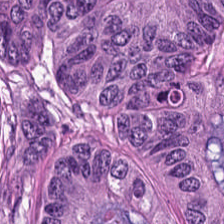Brightfield; hematoxylin and eosin.
Tissue class: tumor epithelium.
